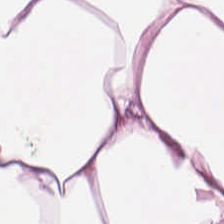Showing adipose tissue.
